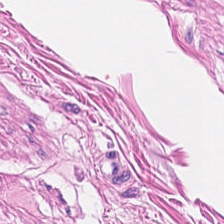Hematoxylin-and-eosin stained section.
Tissue type = smooth muscle.
